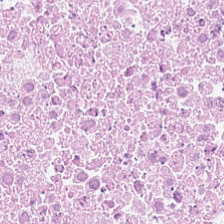0.5 µm per pixel; hematoxylin-and-eosin stained section.
Tissue class — debris.
